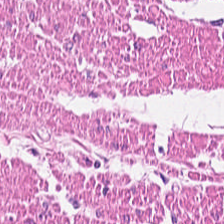H&E stain — Tissue class: smooth muscle.
